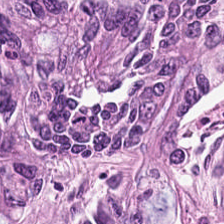H&E-stained tissue section.
Showing adenocarcinoma.
